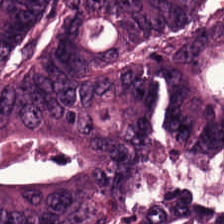Q: What tissue is shown?
A: The field shows malignant epithelium.
